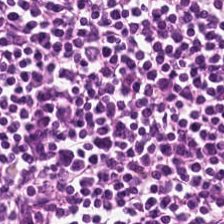Hematoxylin-and-eosin stained section.
Histology → lymphocyte aggregate.
